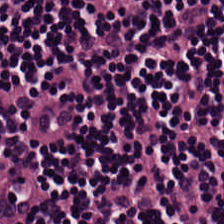H&E stain. The predominant tissue is lymphocyte aggregate.
